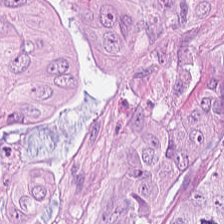Hematoxylin and eosin; brightfield microscopy. Showing tumor epithelium.
